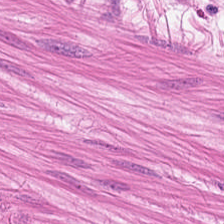H&E · 224×224 px tile. Q: What type of tissue is this?
A: It is muscularis.
